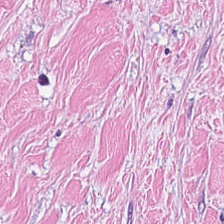H&E-stained tissue section. The tissue here is desmoplastic stroma.
